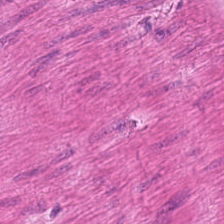Hematoxylin-and-eosin stained section.
{"tissue_type": "muscularis"}
